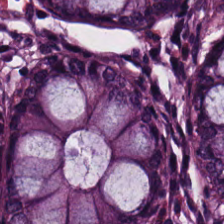The classification is normal colon mucosa.
